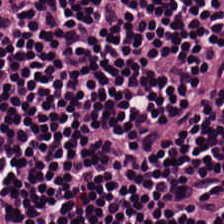Lymphoid infiltrate.
